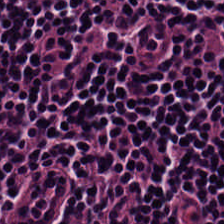Hematoxylin and eosin · formalin-fixed paraffin-embedded section — The predominant tissue is lymphocyte aggregate.
